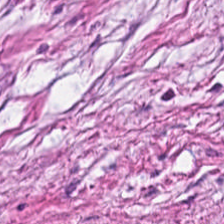Classification — tumor-associated stroma.
